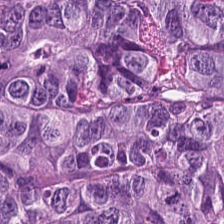Hematoxylin and eosin.
Q: What is shown in this field?
A: It is tumor epithelium.
